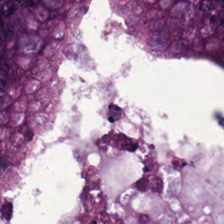The tissue class is colorectal adenocarcinoma.
